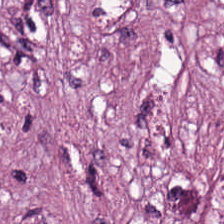Stain: hematoxylin and eosin.
Predominant tissue: desmoplastic stroma.
